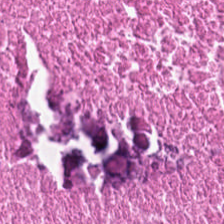H&E. Tissue class: cellular debris.
